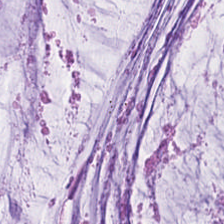H&E.
The predominant tissue is extracellular mucin.
